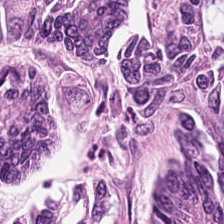Adenocarcinoma.
